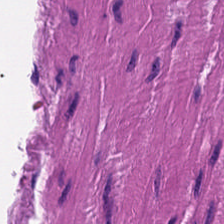H&E stain — Predominantly smooth muscle.
